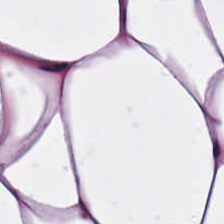Formalin-fixed paraffin-embedded section · H&E stain — Classification — adipose.
